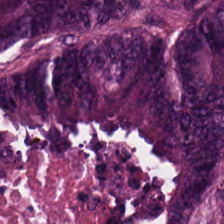Q: Identify the tissue.
A: It is tumor epithelium.
